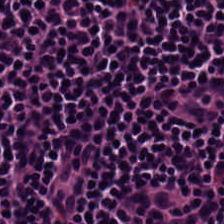H&E — This patch shows lymphocytes.
